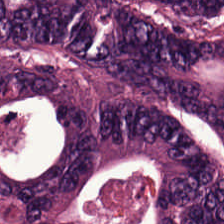H&E. {"tissue_type": "tumor epithelium"}
